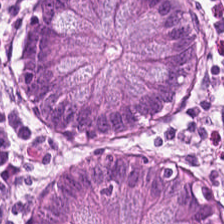0.5 µm/px. Hematoxylin and eosin. WSI patch.
Q: What type of tissue is this?
A: Benign colonic mucosa.
